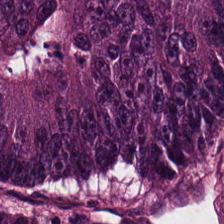H&E. The predominant tissue is tumor epithelium.
